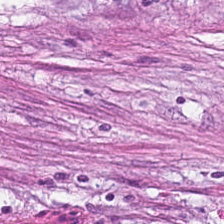Hematoxylin-and-eosin stained section — Predominantly desmoplastic stroma.
